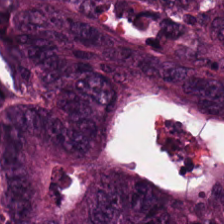Hematoxylin-and-eosin stained section · 224×224 pixel tile · FFPE — Q: What is shown in this field?
A: It is tumor epithelium.
